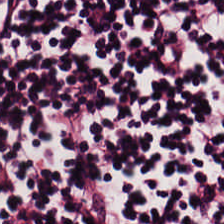224×224 px tile. Brightfield. Hematoxylin-and-eosin stained section.
Tissue class = lymphoid infiltrate.
